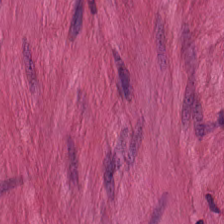This patch shows smooth muscle.
